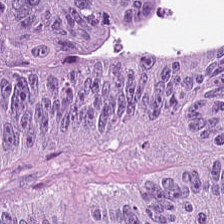H&E stain — Q: What type of tissue is this?
A: The field shows adenocarcinoma.
